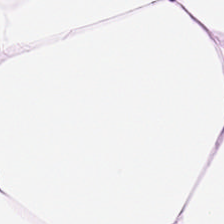H&E-stained tissue section · 20× equivalent magnification · FFPE — Q: What is the predominant tissue type?
A: It is adipocytes.
